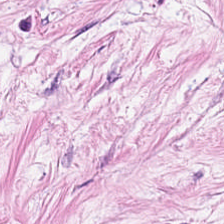Hematoxylin and eosin. 0.5 µm per pixel. Predominantly tumor stroma.
